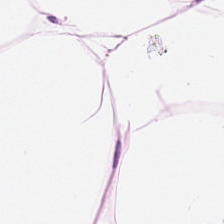H&E stain. Q: What is the predominant tissue type?
A: Fat tissue.
